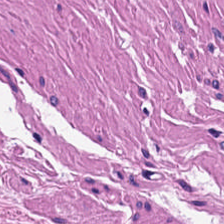H&E stain · 224×224 px patch — Tissue class = muscularis.
